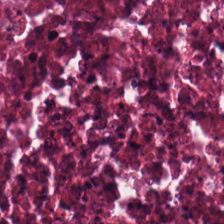Cellular debris.
